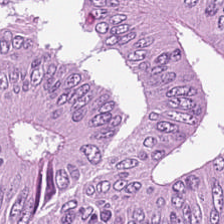The classification is malignant epithelium.
